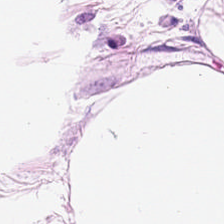Formalin-fixed paraffin-embedded section · 0.5 µm per pixel · hematoxylin and eosin.
Showing fat tissue.
